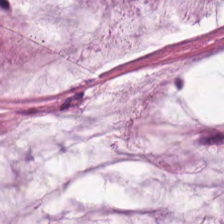Finding → extracellular mucin.
